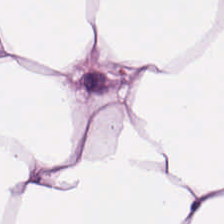H&E-stained tissue section — Classification: fat tissue.
